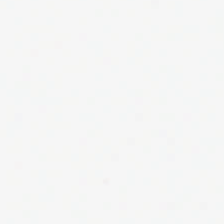Empty field — background (no tissue).
